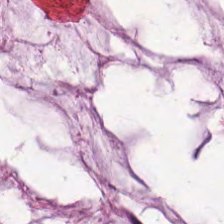Stain: H&E stain.
Tissue type: extracellular mucin.
